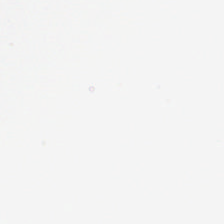Stain: hematoxylin and eosin.
Classification: empty background.
